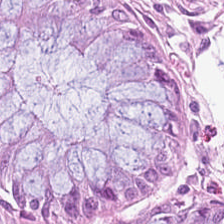H&E-stained tissue section showing normal colonic mucosa.
